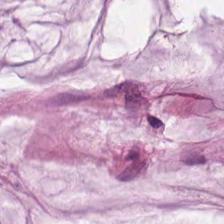FFPE tissue section · H&E · WSI patch. Finding → mucus.
